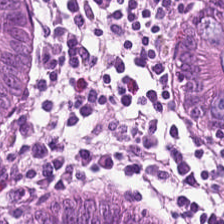Tissue type: normal colon mucosa.
